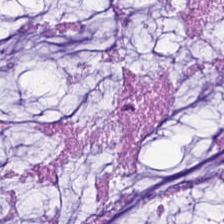H&E-stained tissue section — The classification is mucin.
